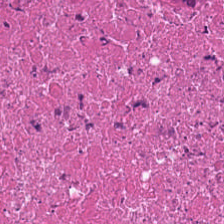H&E. Q: Classify this patch.
A: It is necrotic debris.
